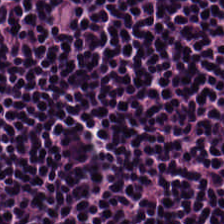Predominantly lymphoid infiltrate.
